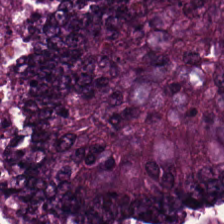H&E-stained tissue section — Tissue = colorectal adenocarcinoma epithelium.
